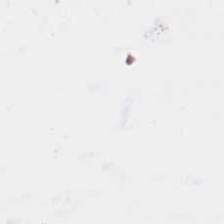Hematoxylin-and-eosin stained section. 224×224 px tile. Q: What is shown here?
A: This is background.
